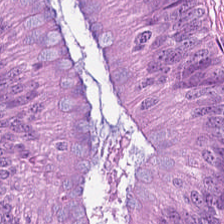Formalin-fixed paraffin-embedded section · H&E-stained tissue section. The predominant tissue is colorectal adenocarcinoma.
